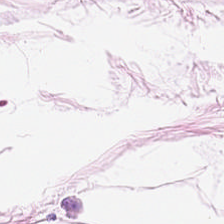0.5 microns per pixel; H&E stain — This field is adipose tissue.
